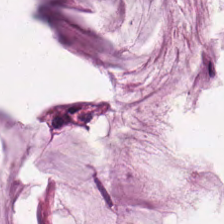Predominantly mucin.
